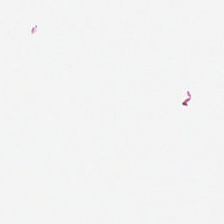H&E-stained tissue section — Histology → background.
